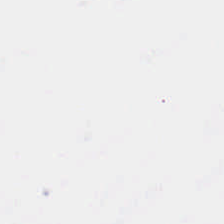H&E · FFPE tissue section. This field is background (no tissue).
